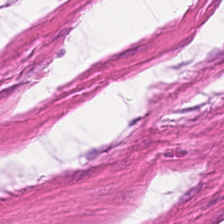0.5 microns per pixel. 224×224 px patch. H&E. Q: What tissue type is shown here?
A: This is muscularis.
